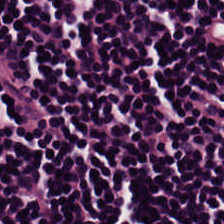0.5 µm/px. H&E.
This field is lymphoid infiltrate.
